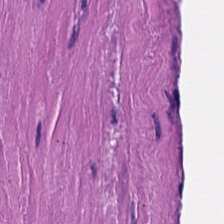The predominant tissue is smooth muscle.
